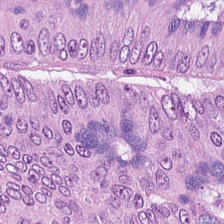Q: What does this patch show?
A: It is adenocarcinoma.
